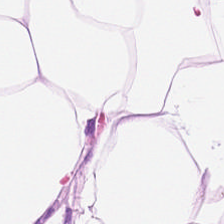H&E-stained section; the field shows adipose tissue.
